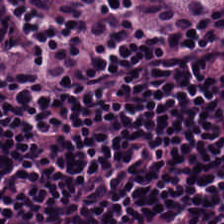H&E stain · 224×224 px patch — Showing lymphocyte aggregate.
